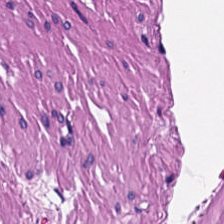224×224 pixel tile. H&E stain. Brightfield. Tissue type — smooth muscle.
